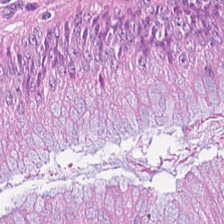224×224 pixel tile; H&E. Colorectal adenocarcinoma epithelium.
